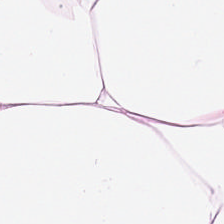Q: What type of tissue is this?
A: This is adipocytes.
